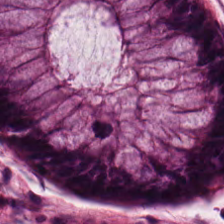H&E-stained tissue section — The tissue here is non-neoplastic colon mucosa.
